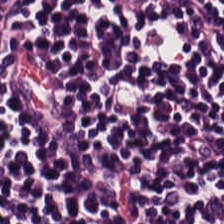Brightfield · H&E · 0.5 microns per pixel.
{"tissue_type": "lymphocytes"}
